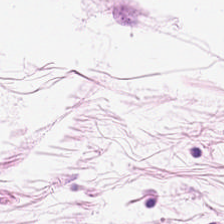Showing adipose tissue.
